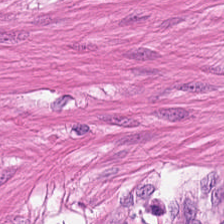20× equivalent magnification · H&E-stained tissue section — Tissue type = smooth-muscle tissue.
